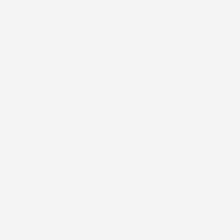Brightfield microscopy. H&E. Classification = background (no tissue).
